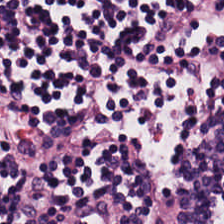H&E. {"tissue_type": "lymphocytes"}
